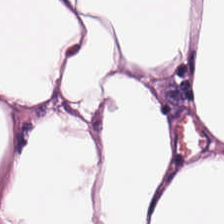Hematoxylin-and-eosin stained section. Tissue class — adipocytes.
